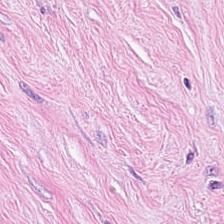The tissue is cancer-associated stroma.
